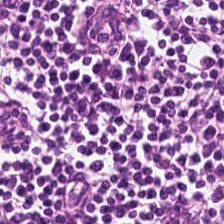{"tissue_type": "lymphocytes"}
